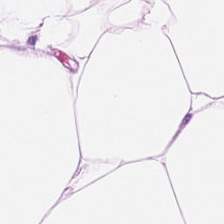Hematoxylin-and-eosin stained section. 224×224 px tile.
This patch shows fat tissue.
